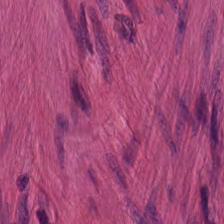{"tissue_type": "muscularis"}
